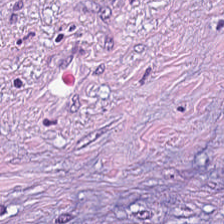H&E.
The predominant tissue is desmoplastic stroma.
